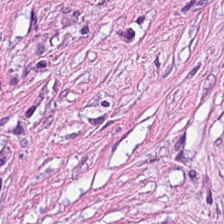Hematoxylin and eosin. Desmoplastic stroma.
